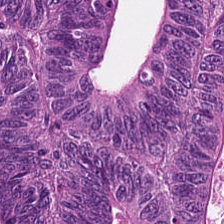{"tissue_type": "malignant epithelium"}
